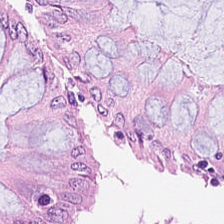H&E-stained tissue section. The tissue here is benign colonic mucosa.
